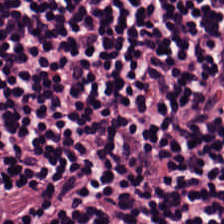Hematoxylin-and-eosin stained section — Q: Identify the tissue.
A: This is lymphocytes.
